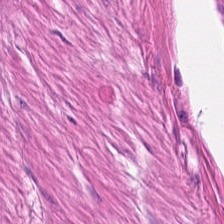H&E-stained tissue section. Whole-slide-image patch.
This field is smooth-muscle tissue.
